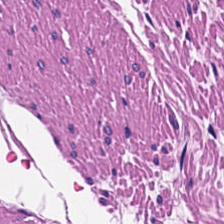Hematoxylin-and-eosin stained section. 0.5 µm/px. 224×224 px tile. The classification is muscularis.
